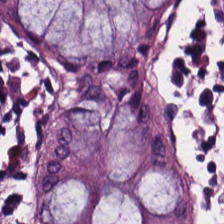224×224 px tile · H&E-stained tissue section. The tissue here is benign colonic mucosa.
